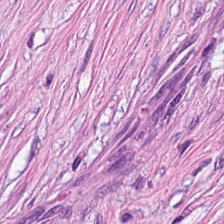Hematoxylin and eosin · 224×224 pixel tile · FFPE — Tissue type — tumor stroma.
